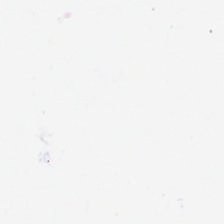{"content": "background"}
